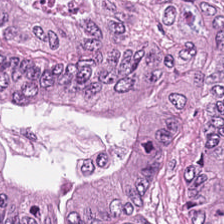H&E-stained tissue section — This field is malignant epithelium.
